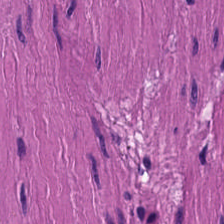H&E — Tissue class: smooth-muscle tissue.
